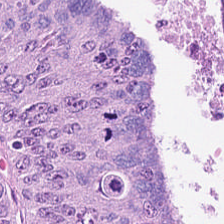H&E-stained tissue section. Predominantly adenocarcinoma.
